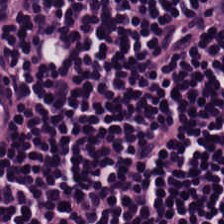Formalin-fixed paraffin-embedded section · 0.5 µm per pixel · H&E-stained tissue section — Q: Classify this patch.
A: Lymphocytes.
